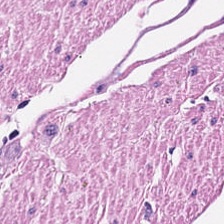The predominant tissue is smooth muscle.
